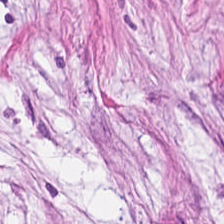Hematoxylin-and-eosin stained section. The tissue here is desmoplastic stroma.
